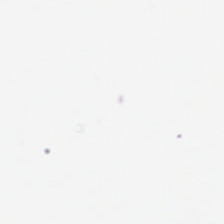Finding — no tissue.
